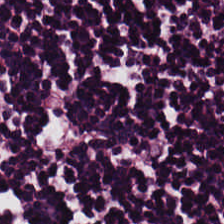Stain: H&E-stained tissue section.
Resolution: 20× equivalent magnification.
Tile size: 224×224 px patch.
Tissue type: lymphocytes.
